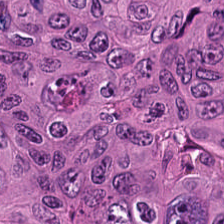Impression — malignant epithelium.
